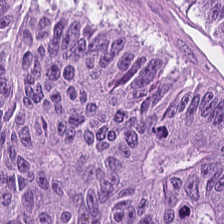H&E stain. Showing colorectal adenocarcinoma epithelium.
